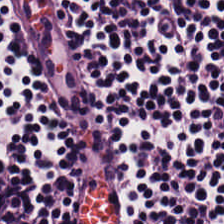H&E-stained tissue section. 224×224 px patch. Whole-slide-image patch.
The tissue here is lymphocytes.
